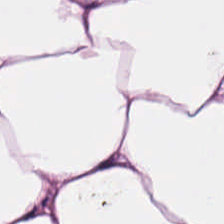H&E stain. This field is adipose.
